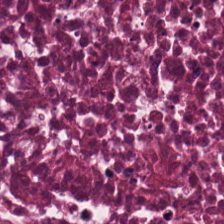{"tissue_type": "debris"}
